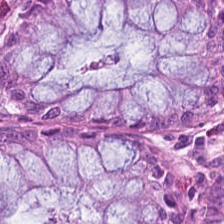H&E — Impression → benign colonic mucosa.
